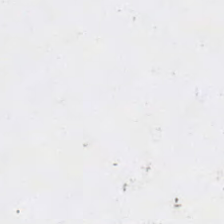Stain: hematoxylin-and-eosin stained section.
Content: background (no tissue).
